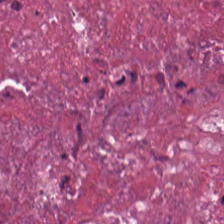Hematoxylin and eosin.
Tissue type — debris.
